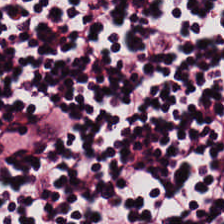H&E — This patch shows lymphocytic infiltrate.
